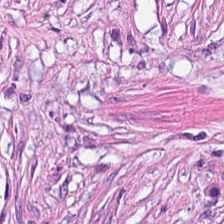Whole-slide-image patch · 224×224 px tile · hematoxylin and eosin. Classification = tumor-associated stroma.
